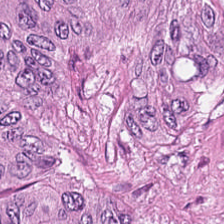Stain: H&E stain.
Classification: colorectal adenocarcinoma epithelium.
